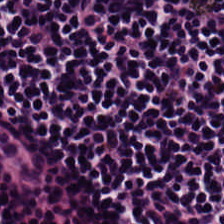{"tissue_type": "lymphoid infiltrate"}
